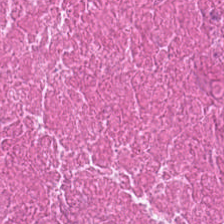H&E patch showing cellular debris.
